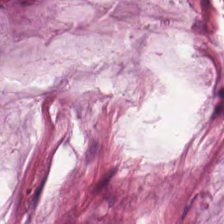Hematoxylin-and-eosin stained section — {"tissue_type": "mucin"}
